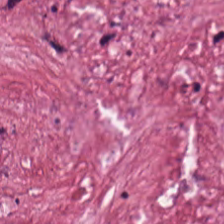H&E.
Tissue class = tumor stroma.
